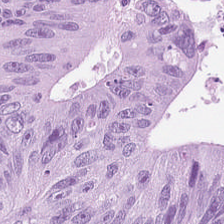Stain: hematoxylin-and-eosin stained section.
Tile size: 224×224 px patch.
Predominant tissue: malignant epithelium.
